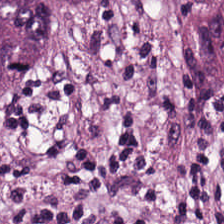Tissue class = cancer-associated stroma.
